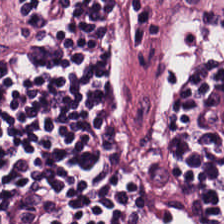H&E-stained tissue section — The predominant tissue is lymphoid infiltrate.
